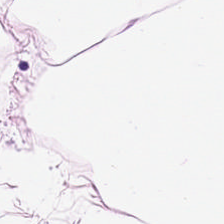H&E.
Predominant tissue: adipose.
